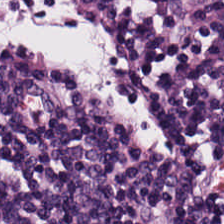Formalin-fixed paraffin-embedded section; 0.5 microns per pixel; hematoxylin-and-eosin stained section. Q: What tissue is shown?
A: It is lymphocytic infiltrate.
